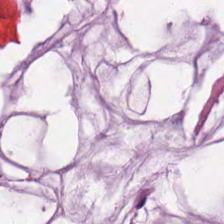Q: What type of tissue is this?
A: Mucus.
